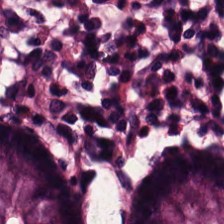Tissue = benign colonic mucosa.
